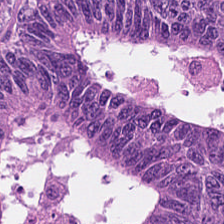Brightfield. H&E-stained tissue section — Showing colorectal adenocarcinoma.
